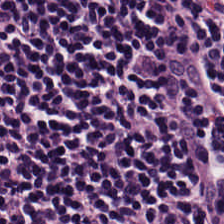20× equivalent magnification; 224×224 px patch; hematoxylin and eosin. Lymphocytic infiltrate.
